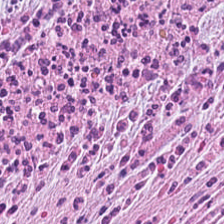H&E-stained tissue section showing tumor stroma.
